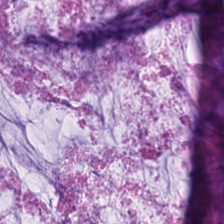224×224 px patch; H&E stain.
This field is extracellular mucin.
